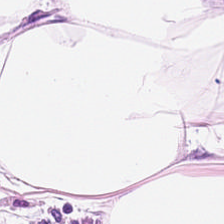Tissue class — fat tissue.
